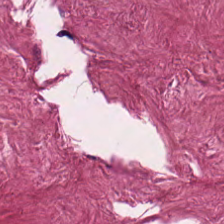Showing tumor-associated stroma.
